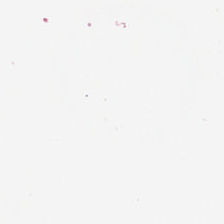Hematoxylin and eosin; 0.5 microns per pixel — Background — no tissue in this field.
